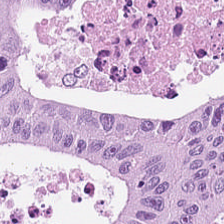Q: What type of tissue is this?
A: The field shows colorectal adenocarcinoma.
